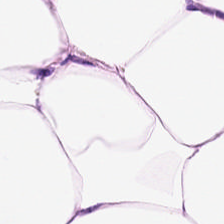Hematoxylin and eosin. FFPE tissue section. 224×224 px patch. Tissue type = adipocytes.
